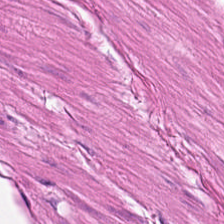Hematoxylin-and-eosin stained section — This field is muscularis.
